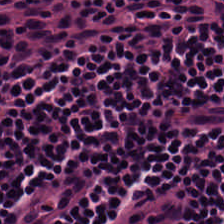Classification — lymphoid infiltrate.
